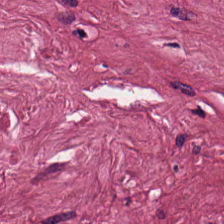Tissue type = tumor stroma.
